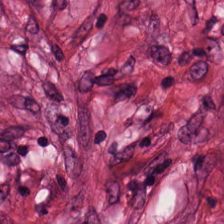0.5 µm/px; brightfield; hematoxylin-and-eosin stained section — The predominant tissue is tumor-associated stroma.
